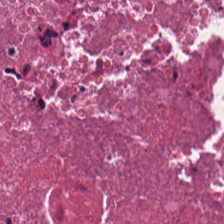WSI patch · H&E stain.
Showing cellular debris.
